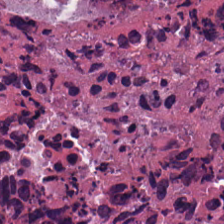H&E. Showing debris.
